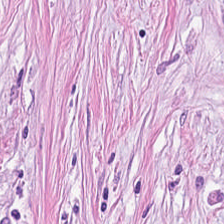Desmoplastic stroma.
